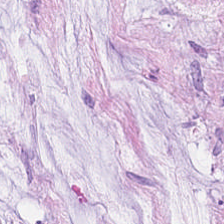Finding — mucin.
